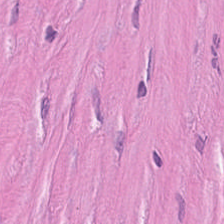Brightfield; H&E stain. The tissue is tumor stroma.
